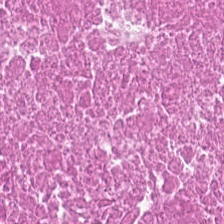Hematoxylin and eosin; formalin-fixed paraffin-embedded section — Q: Classify this patch.
A: The field shows cellular debris.
